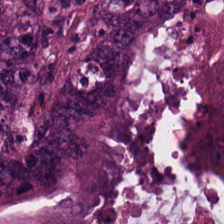Colorectal adenocarcinoma epithelium.
